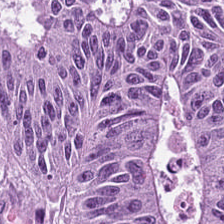Hematoxylin and eosin.
Predominant tissue = malignant epithelium.
